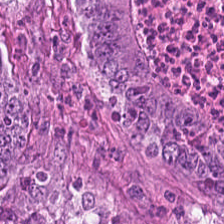H&E stain · brightfield microscopy. Histology — adenocarcinoma.
